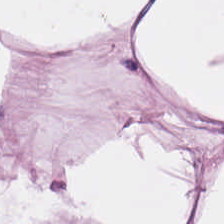0.5 µm per pixel · hematoxylin-and-eosin stained section.
Q: What tissue type is shown here?
A: The field shows adipocytes.
